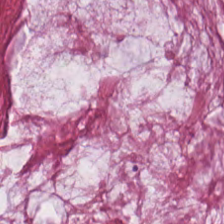H&E; 224×224 px tile. Histology → extracellular mucin.
